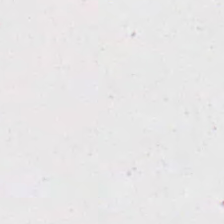H&E-stained tissue section.
Q: What is shown here?
A: The field shows background (no tissue).
